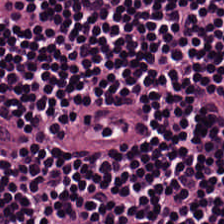Hematoxylin and eosin.
This patch shows lymphocytes.
